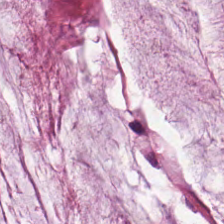Hematoxylin-and-eosin stained section. Brightfield microscopy.
The predominant tissue is mucus.
